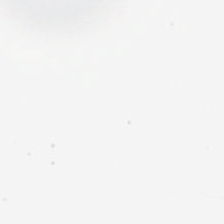H&E. Field content — no tissue.
